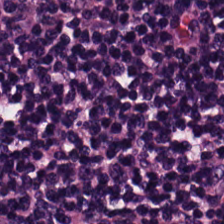H&E-stained section; the field shows lymphocytic infiltrate.
